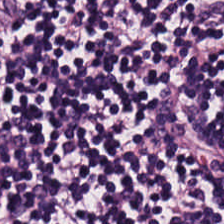Stain: hematoxylin and eosin.
Acquisition: brightfield.
Predominant tissue: lymphocyte aggregate.
